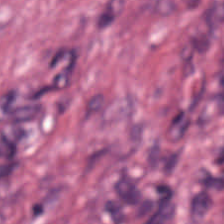H&E-stained tissue section. Predominantly cancer-associated stroma.
